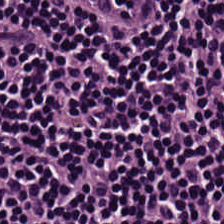H&E-stained tissue section — Q: What is shown here?
A: Lymphocyte aggregate.
